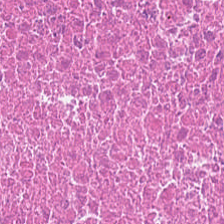Hematoxylin-and-eosin stained section.
Finding → cellular debris.
